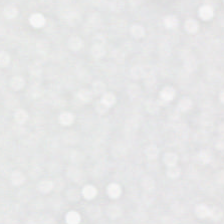H&E — Field content — background.
